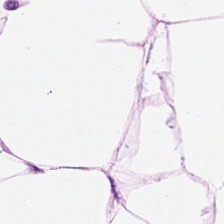{"tissue_type": "adipose"}
